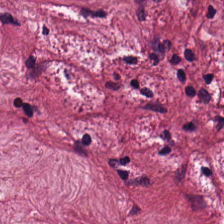FFPE tissue section · H&E. This patch shows desmoplastic stroma.
